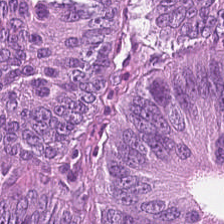H&E stain — Q: What type of tissue is this?
A: This is adenocarcinoma.
